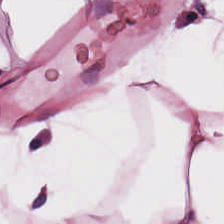H&E stain · WSI patch.
The predominant tissue is adipose.
